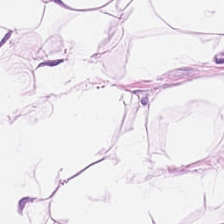Hematoxylin-and-eosin stained section. Whole-slide-image patch. Q: What is shown here?
A: The field shows fat tissue.
